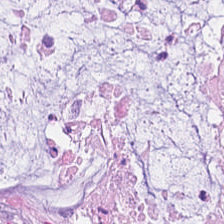H&E-stained tissue section. The tissue class is mucus.
